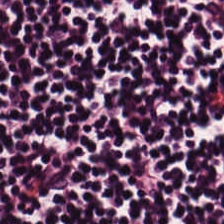20× equivalent magnification · hematoxylin-and-eosin stained section — Tissue class = lymphocyte aggregate.
